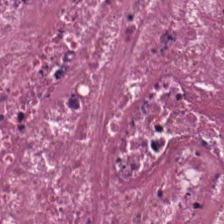Hematoxylin and eosin. Predominantly debris.
